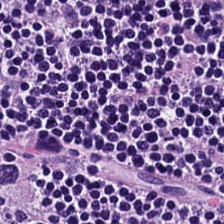Hematoxylin and eosin. Lymphocytic infiltrate.
